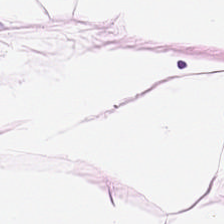Classification — fat tissue.
